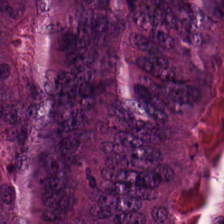224×224 pixel tile. Hematoxylin and eosin. FFPE.
Histology → colorectal adenocarcinoma.
